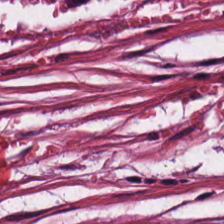Tissue class = desmoplastic stroma.
